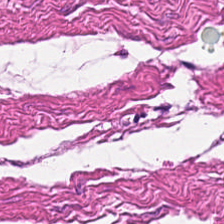FFPE · H&E-stained tissue section · 0.5 µm per pixel — Q: What type of tissue is this?
A: The field shows muscularis.
